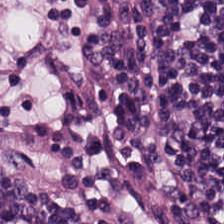224×224 px tile; H&E-stained tissue section; FFPE. Predominant tissue — lymphoid infiltrate.
